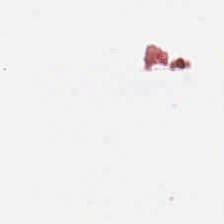Hematoxylin and eosin.
The content is no tissue.
